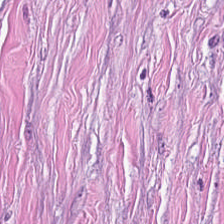20× equivalent magnification; hematoxylin-and-eosin stained section.
Desmoplastic stroma.
